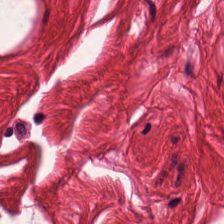H&E stain. Showing smooth muscle.
